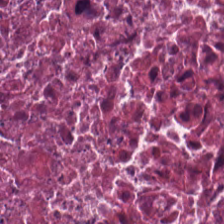0.5 µm per pixel; hematoxylin and eosin; WSI patch — The tissue here is cellular debris.
